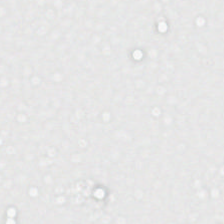FFPE tissue section · hematoxylin-and-eosin stained section. Background.
